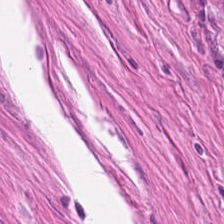Hematoxylin and eosin.
Tissue class: smooth muscle.
